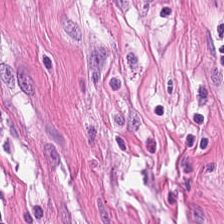0.5 µm per pixel; H&E stain; FFPE. Tissue type = smooth muscle.
